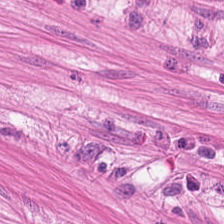FFPE tissue section; hematoxylin-and-eosin stained section. Q: What tissue type is shown here?
A: The field shows smooth-muscle tissue.
